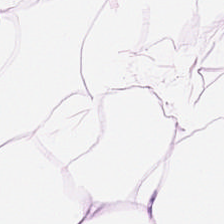H&E — Predominantly adipocytes.
